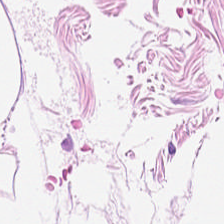Stain: H&E stain.
Predominant tissue: adipose tissue.
